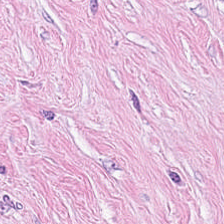H&E-stained tissue section.
The classification is tumor stroma.
